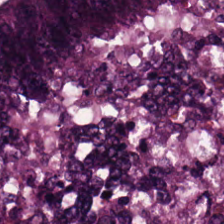H&E. Q: What does this patch show?
A: This is colorectal adenocarcinoma.
